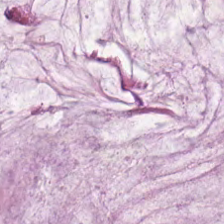Stain: H&E-stained tissue section.
Tile size: 224×224 pixel tile.
Predominant tissue: mucus.
